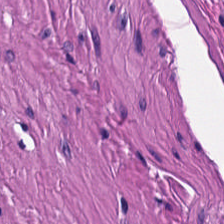WSI patch · FFPE tissue section · hematoxylin and eosin — Smooth muscle.
